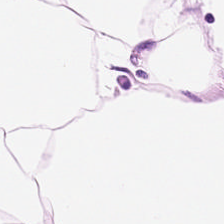224×224 px tile. Hematoxylin and eosin. Q: What does this patch show?
A: This is fat tissue.
